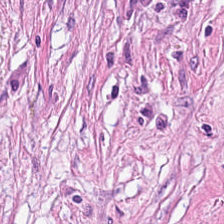Q: Identify the tissue.
A: It is tumor-associated stroma.
